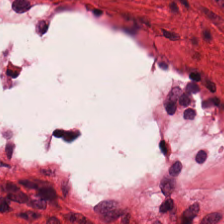H&E stain.
Histology — muscularis.
